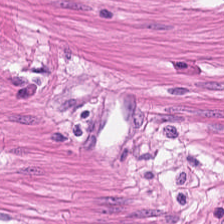{"tissue_type": "smooth-muscle tissue"}
